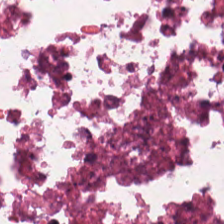FFPE; 0.5 µm per pixel; hematoxylin and eosin. Predominant tissue = debris.
